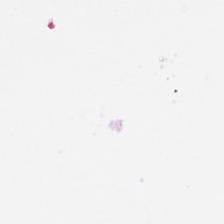0.5 microns per pixel; H&E-stained tissue section.
This patch shows background (no tissue).
